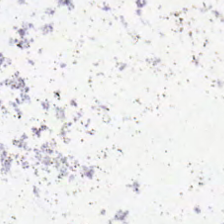{"content": "no tissue"}
